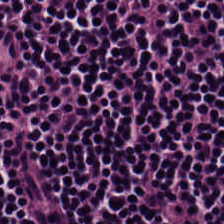Q: What type of tissue is this?
A: The field shows lymphocyte aggregate.
